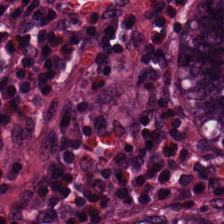Brightfield microscopy · formalin-fixed paraffin-embedded section · H&E.
The classification is non-neoplastic colon mucosa.
